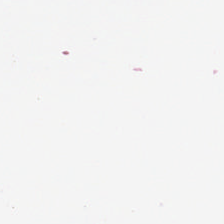Stain: hematoxylin-and-eosin stained section.
Field content: background.
